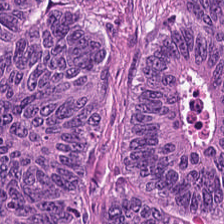FFPE · 20× equivalent magnification · hematoxylin and eosin.
This patch shows tumor epithelium.
